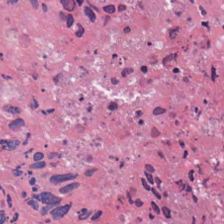Cellular debris.
